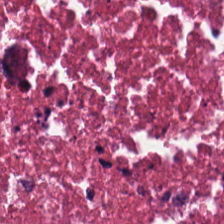H&E-stained tissue section — Predominantly necrotic debris.
